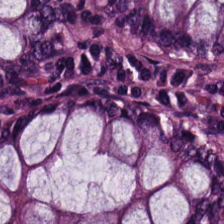Hematoxylin-and-eosin stained section. Classification = non-neoplastic colon mucosa.
